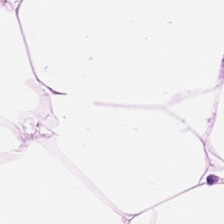H&E-stained tissue section. Brightfield microscopy. 224×224 px patch.
This patch shows adipose tissue.
